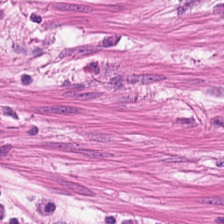Stain: H&E.
Acquisition: brightfield.
Resolution: 0.5 microns per pixel.
Predominant tissue: smooth-muscle tissue.
